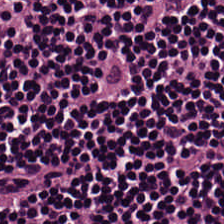FFPE tissue section. H&E stain — Tissue class = lymphocytic infiltrate.
